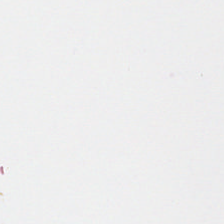No tissue present; background only.
